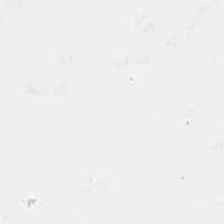H&E-stained tissue section.
Field content = empty background.
